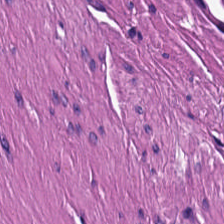Predominantly smooth muscle.
